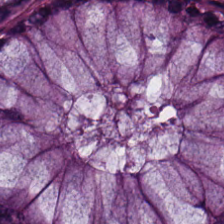Hematoxylin and eosin. Tissue — normal colon mucosa.
